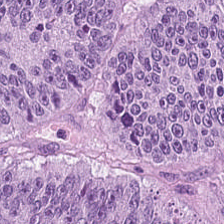The predominant tissue is malignant epithelium.
